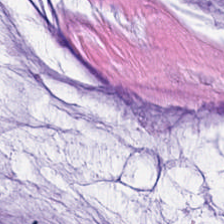Hematoxylin-and-eosin section: extracellular mucin.
